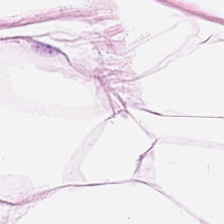H&E; 20× equivalent magnification.
Finding — adipose.
